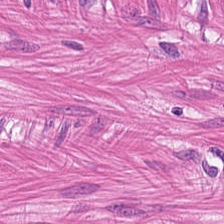Hematoxylin-and-eosin section: smooth muscle.
